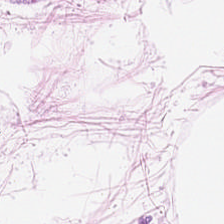Brightfield; H&E-stained tissue section.
This field is adipose tissue.
